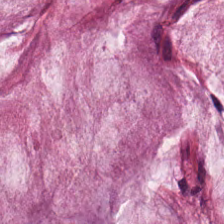0.5 µm/px · H&E. Tissue = mucus.
